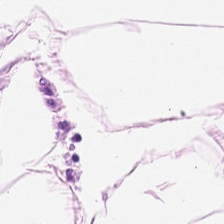H&E.
Q: What type of tissue is this?
A: Fat tissue.
